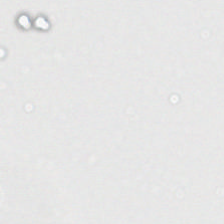224×224 pixel tile; formalin-fixed paraffin-embedded section; hematoxylin-and-eosin stained section — Q: Classify this patch.
A: It is no tissue.
